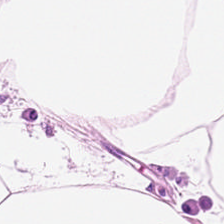0.5 µm per pixel; H&E stain. This patch shows adipose tissue.
